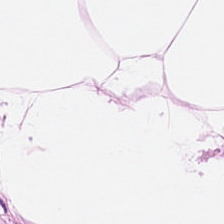H&E stain. 0.5 µm/px.
Showing adipocytes.
